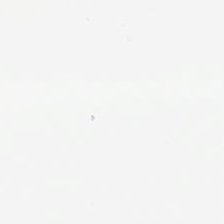Empty field — no tissue.
